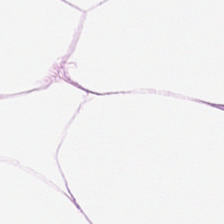H&E stain. Formalin-fixed paraffin-embedded section. WSI patch.
The tissue class is adipose tissue.
